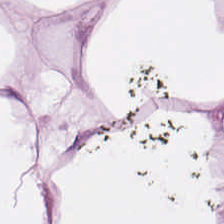Hematoxylin-and-eosin stained section.
Adipose.
